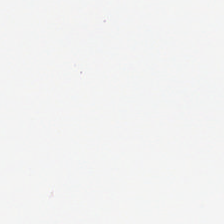H&E stain; 0.5 microns per pixel.
Q: What is shown in this field?
A: Empty background.
